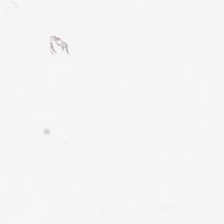Hematoxylin-and-eosin stained section · 0.5 µm per pixel. Finding — background.
